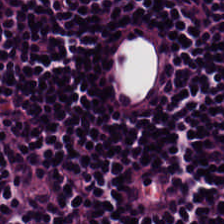Hematoxylin and eosin — Predominant tissue = lymphoid infiltrate.
